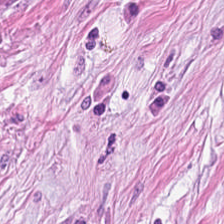H&E; FFPE. This patch shows desmoplastic stroma.
